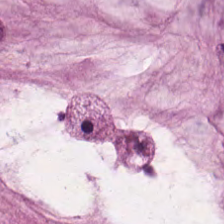H&E-stained tissue section.
{"tissue_type": "extracellular mucin"}
